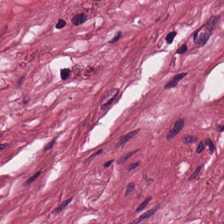Finding — desmoplastic stroma.
